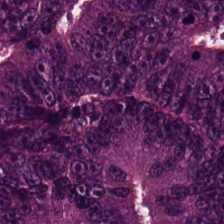Stain: H&E.
Tile size: 224×224 px patch.
Tissue: tumor epithelium.
